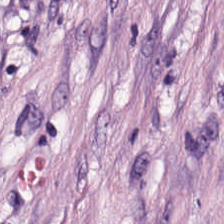H&E-stained tissue section. This field is tumor stroma.
